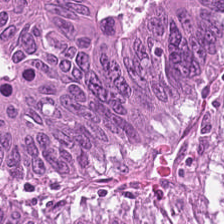20× equivalent magnification · H&E stain.
The predominant tissue is tumor epithelium.
